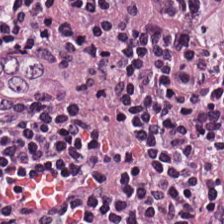This patch shows lymphocytic infiltrate.
